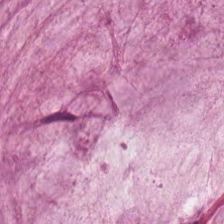H&E-stained tissue section — Classification — extracellular mucin.
